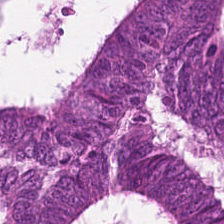Q: What type of tissue is this?
A: This is malignant epithelium.
